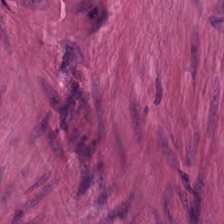Whole-slide-image patch. Hematoxylin-and-eosin stained section — This patch shows muscularis.
